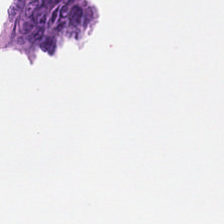Content — no tissue.
